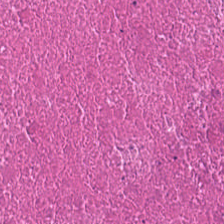H&E. Showing debris.
